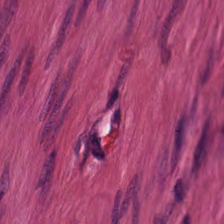Hematoxylin-and-eosin stained section. Tissue type: muscularis.
